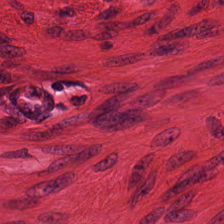20× equivalent magnification; 224×224 pixel tile; H&E-stained tissue section — Tissue — smooth-muscle tissue.
